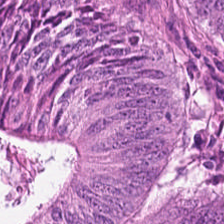Stain: hematoxylin-and-eosin stained section.
Classification: adenocarcinoma.
